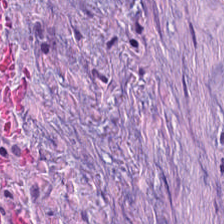Tissue type — desmoplastic stroma.
